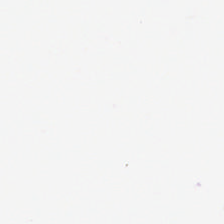Stain: H&E stain.
Classification: background.
